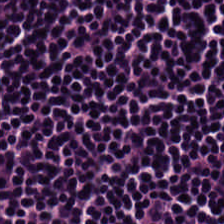H&E patch showing lymphocytes.
